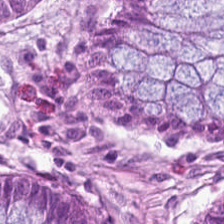Hematoxylin-and-eosin stained section.
Predominant tissue — normal colonic mucosa.
